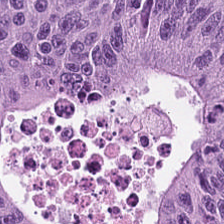H&E-stained tissue section. Q: What type of tissue is this?
A: The field shows colorectal adenocarcinoma epithelium.
